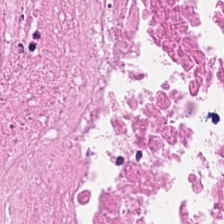FFPE · 0.5 microns per pixel · H&E stain — {"tissue_type": "cellular debris"}
